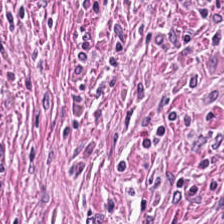Q: What type of tissue is this?
A: Desmoplastic stroma.
